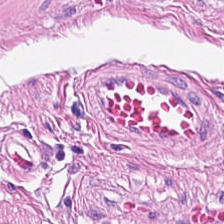H&E-stained tissue section · 224×224 px tile.
Tissue type — smooth muscle.
